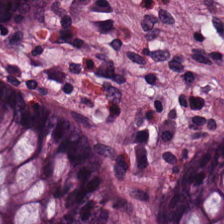Hematoxylin and eosin — This patch shows benign colonic mucosa.
